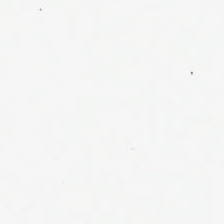224×224 pixel tile · H&E stain · 0.5 microns per pixel.
Background — no tissue in this field.
